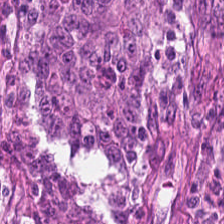Predominant tissue — malignant epithelium.
